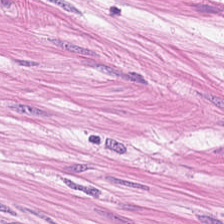Hematoxylin-and-eosin stained section.
Showing smooth-muscle tissue.
